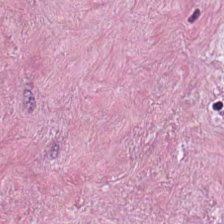Stain: H&E-stained tissue section.
Tissue class: tumor stroma.
